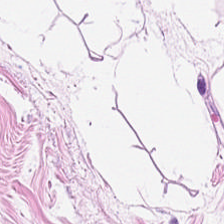H&E-stained tissue section. This patch shows adipocytes.
